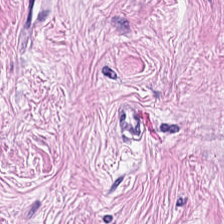Whole-slide-image patch · 20× equivalent magnification · hematoxylin-and-eosin stained section. Q: What type of tissue is this?
A: The field shows desmoplastic stroma.
